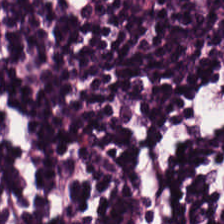Hematoxylin-and-eosin stained section. Brightfield — The tissue type is lymphocyte aggregate.
